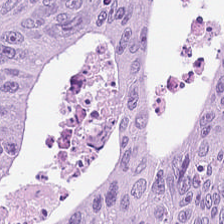Hematoxylin-and-eosin stained section. Colorectal adenocarcinoma epithelium.
